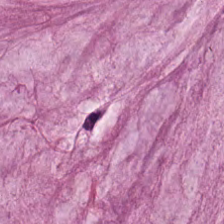H&E-stained tissue section; 224×224 px tile.
Q: Identify the tissue.
A: Mucin.
